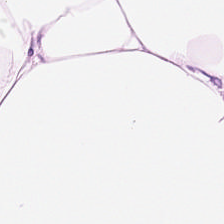H&E-stained tissue section.
The tissue here is adipose.
